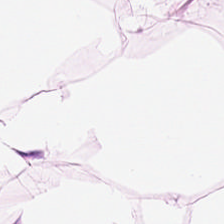H&E stain — Predominantly adipose tissue.
